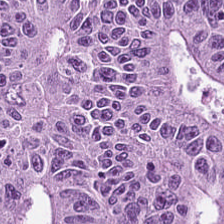FFPE; H&E-stained tissue section. The classification is adenocarcinoma.
